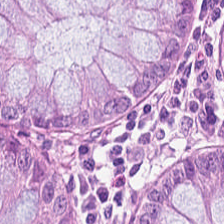Hematoxylin and eosin — This patch shows non-neoplastic colon mucosa.
